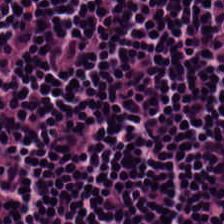Hematoxylin-and-eosin stained section.
This patch shows lymphocytes.
